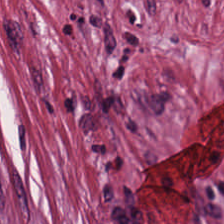224×224 px patch; H&E.
Histology — tumor stroma.
